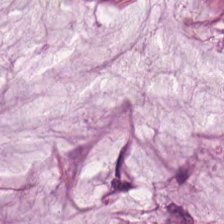Q: What is the predominant tissue type?
A: Extracellular mucin.
